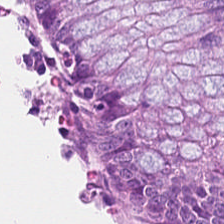0.5 µm per pixel. Hematoxylin and eosin.
The predominant tissue is normal colon mucosa.
